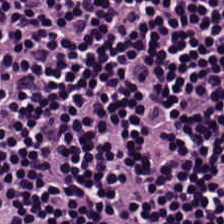H&E-stained tissue section. WSI patch.
Q: What tissue type is shown here?
A: This is lymphocytic infiltrate.
